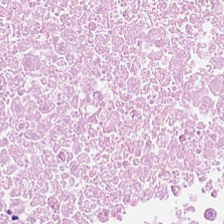Formalin-fixed paraffin-embedded section; whole-slide-image patch; hematoxylin and eosin.
This field is necrotic debris.
